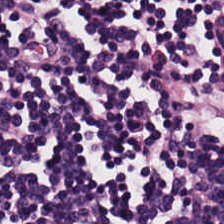H&E-stained tissue section. Finding → lymphoid infiltrate.
